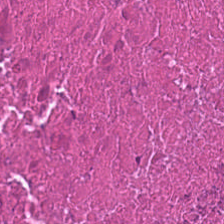H&E.
Predominant tissue: cellular debris.
